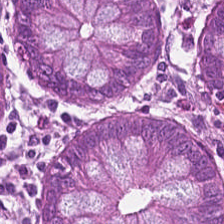This patch shows normal colon mucosa.
